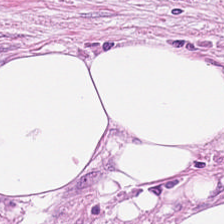Stain: H&E.
Tissue type: tumor stroma.
